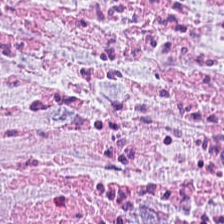Hematoxylin-and-eosin stained section. Classification — desmoplastic stroma.
